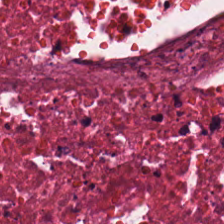224×224 pixel tile. 20× equivalent magnification. Hematoxylin-and-eosin stained section. Q: What does this patch show?
A: Cellular debris.
